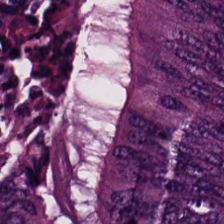H&E — malignant epithelium.
